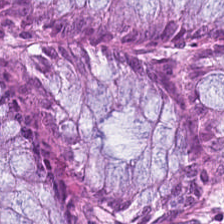H&E — This field is benign colonic mucosa.
